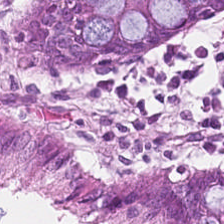Stain: H&E-stained tissue section.
Tissue: benign colonic mucosa.
